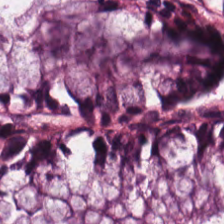224×224 px tile; hematoxylin-and-eosin stained section — This field is normal colon mucosa.
